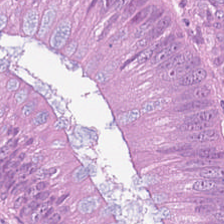Formalin-fixed paraffin-embedded section · 224×224 px tile · hematoxylin and eosin. Finding → malignant epithelium.
